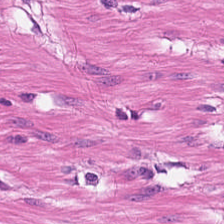Hematoxylin-and-eosin stained section · FFPE tissue section · 0.5 µm per pixel.
Q: What type of tissue is this?
A: The field shows muscularis.
